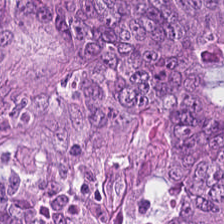H&E stain. The tissue here is malignant epithelium.
